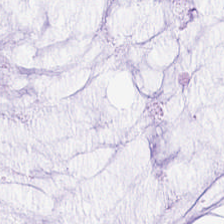Hematoxylin-and-eosin stained section — Q: Classify this patch.
A: It is mucin.
